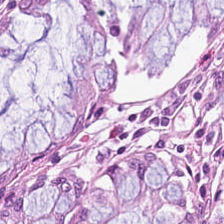224×224 px tile · hematoxylin and eosin — This field is normal colon mucosa.
